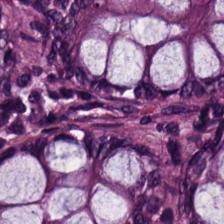224×224 px patch · WSI patch · H&E — Q: What does this patch show?
A: This is normal colon mucosa.
